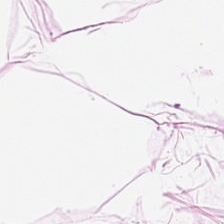The predominant tissue is adipocytes.
